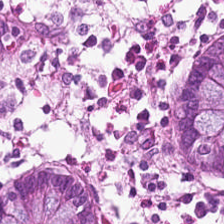H&E-stained tissue section · 224×224 px tile · 20× equivalent magnification. Normal colonic mucosa.
